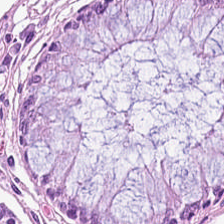H&E.
Predominantly non-neoplastic colon mucosa.
